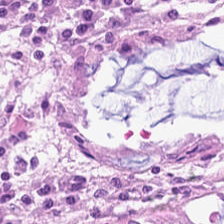H&E stain.
The predominant tissue is normal colonic mucosa.
